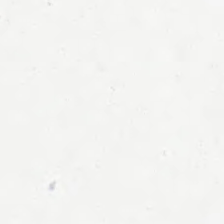Background — no tissue in this field.
